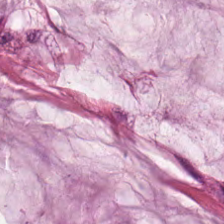Tissue type — extracellular mucin.
